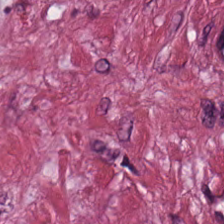Hematoxylin-and-eosin stained section.
{"tissue_type": "desmoplastic stroma"}
